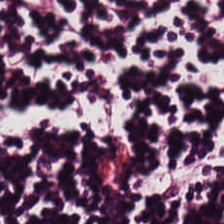Hematoxylin and eosin. Finding → lymphoid infiltrate.
